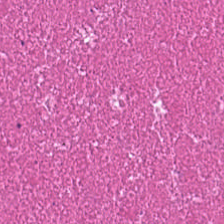H&E-stained tissue section; FFPE tissue section.
This patch shows debris.
